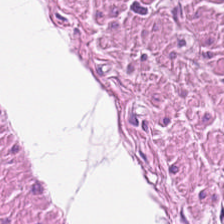H&E-stained tissue section showing muscularis.
